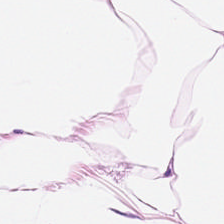Formalin-fixed paraffin-embedded section · brightfield · hematoxylin and eosin — Q: Classify this patch.
A: It is adipose.
